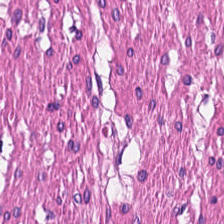H&E stain — Predominantly smooth-muscle tissue.
